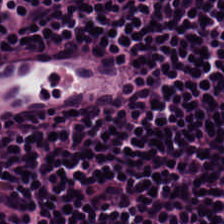H&E stain — Q: What tissue type is shown here?
A: This is lymphocytic infiltrate.
